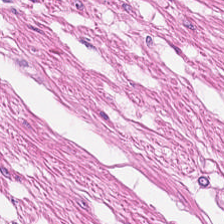H&E. FFPE tissue section — Histology — muscularis.
